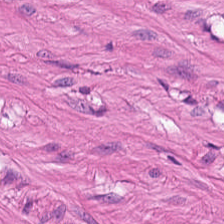FFPE; H&E-stained tissue section; brightfield microscopy. Showing muscularis.
